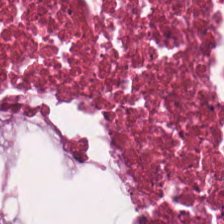Impression — cellular debris.
